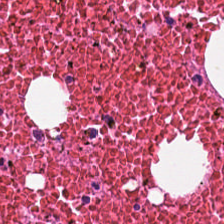Tissue = debris.
